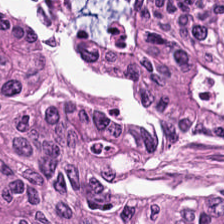H&E-stained tissue section.
Histology → colorectal adenocarcinoma.
